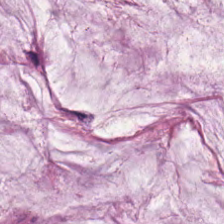H&E-stained tissue section. Predominant tissue: mucus.
